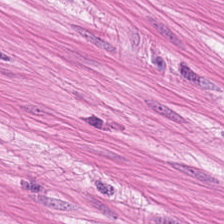Histology — muscularis.
